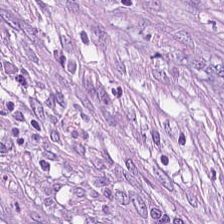H&E stain; WSI patch.
Tissue class: cancer-associated stroma.
